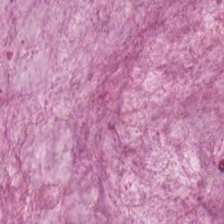Tissue class = mucin.
